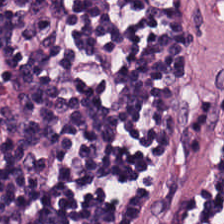H&E stain.
Predominantly lymphocyte aggregate.
